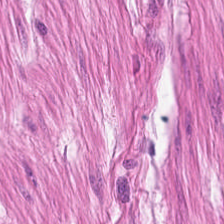0.5 microns per pixel · formalin-fixed paraffin-embedded section · H&E — Q: What type of tissue is this?
A: The field shows smooth-muscle tissue.
